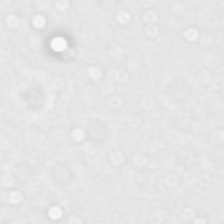Hematoxylin-and-eosin stained section.
Classification = background (no tissue).
